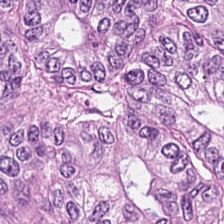Hematoxylin and eosin — This field is colorectal adenocarcinoma.
